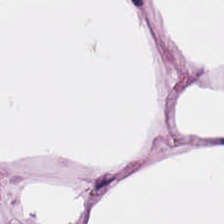Showing fat tissue.
